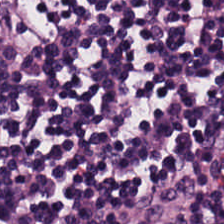H&E.
Lymphocytic infiltrate.
